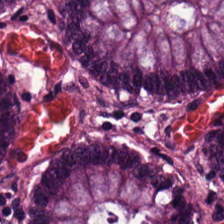FFPE tissue section; H&E stain. The predominant tissue is normal colon mucosa.
